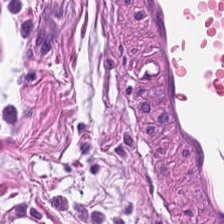H&E stain — Tissue: smooth-muscle tissue.
